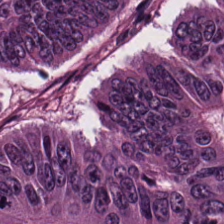Hematoxylin and eosin; 224×224 px tile; 0.5 µm/px. {"tissue_type": "colorectal adenocarcinoma"}
